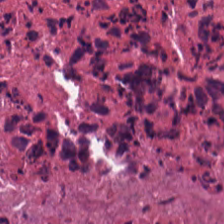H&E stain — Showing debris.
